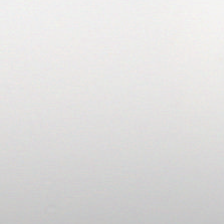No tissue.
